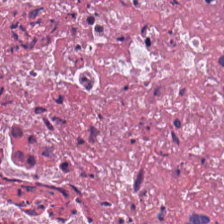H&E-stained tissue section; WSI patch — Tissue class: cellular debris.
